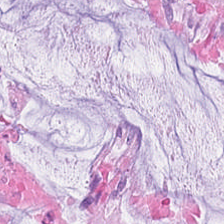H&E-stained tissue section · 224×224 px patch · 0.5 µm/px. Mucus.
